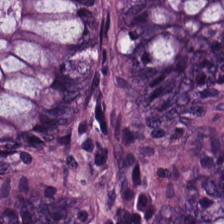H&E; FFPE tissue section. Showing benign colonic mucosa.
